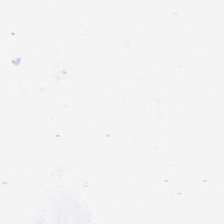Stain: H&E-stained tissue section.
Field content: background (no tissue).
